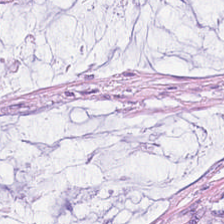Brightfield; hematoxylin and eosin; 0.5 µm/px.
Extracellular mucin.
